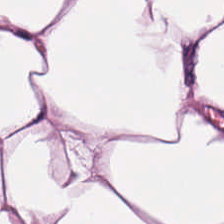Predominantly adipocytes.
